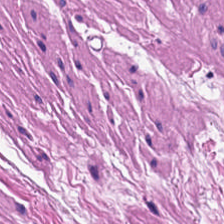224×224 px patch; hematoxylin-and-eosin stained section — Classification = smooth-muscle tissue.
